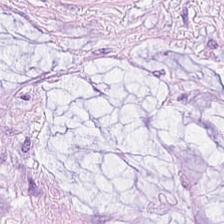H&E-stained tissue section — Q: What tissue type is shown here?
A: It is mucin.
